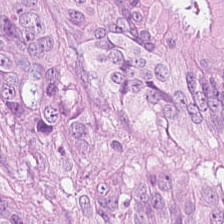Hematoxylin-and-eosin stained section; formalin-fixed paraffin-embedded section — Predominantly colorectal adenocarcinoma epithelium.
